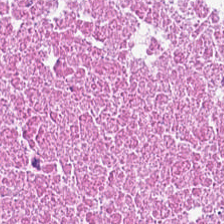224×224 px tile. Hematoxylin-and-eosin stained section. 0.5 microns per pixel.
Showing cellular debris.
